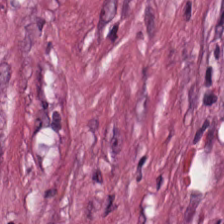Tissue type — tumor stroma.
